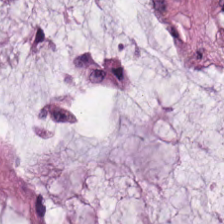Hematoxylin and eosin.
The tissue is extracellular mucin.
